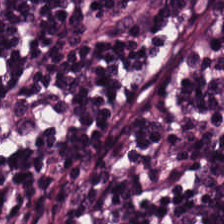Hematoxylin and eosin. 224×224 px tile.
Q: What type of tissue is this?
A: Lymphocytic infiltrate.
